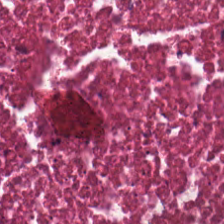Stain: H&E stain.
Resolution: 20× equivalent magnification.
Tissue: cellular debris.
